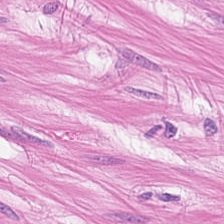Hematoxylin and eosin.
Tissue = muscularis.
